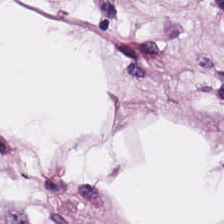Hematoxylin and eosin. Q: What is shown here?
A: The field shows fat tissue.
